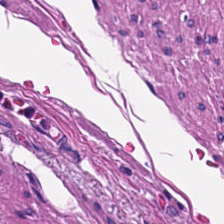H&E. This patch shows smooth-muscle tissue.
